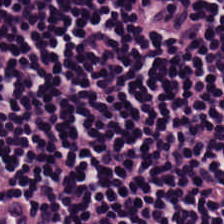Formalin-fixed paraffin-embedded section · 224×224 px tile · H&E-stained tissue section.
Lymphoid infiltrate.
